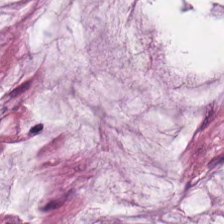Stain: H&E.
Predominant tissue: mucin.
